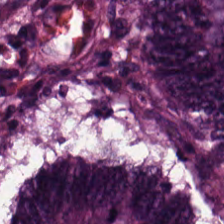Predominantly adenocarcinoma.
